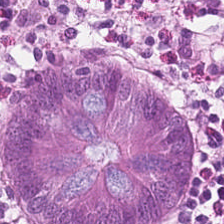Hematoxylin-and-eosin stained section. Q: What type of tissue is this?
A: Normal colon mucosa.
